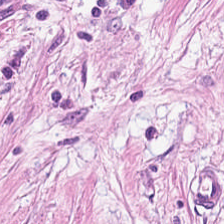H&E stain · formalin-fixed paraffin-embedded section — Histology → cancer-associated stroma.
